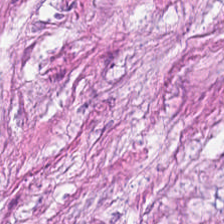Q: What tissue type is shown here?
A: The field shows tumor-associated stroma.
